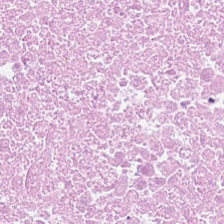224×224 px tile · H&E-stained tissue section · WSI patch — Predominant tissue — debris.
